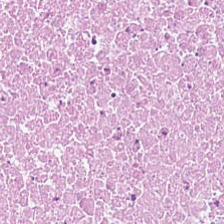H&E-stained tissue section — Impression — debris.
